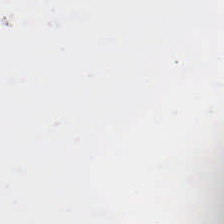Background.
